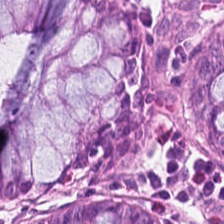H&E stain · 20× equivalent magnification — Predominantly benign colonic mucosa.
